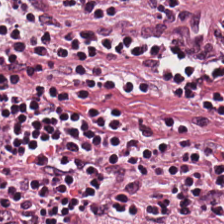Stain: H&E stain.
Predominant tissue: lymphocyte aggregate.
